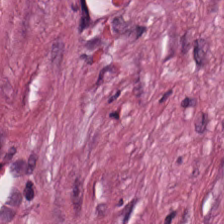H&E-stained section; the field shows cancer-associated stroma.
